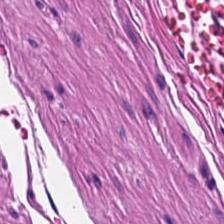Impression — smooth-muscle tissue.
